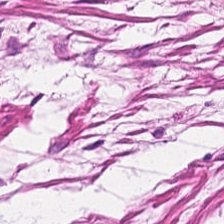H&E-stained tissue section; 224×224 px tile. The tissue here is muscularis.
